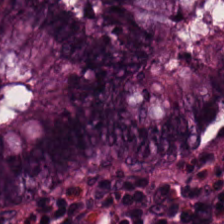0.5 µm per pixel · hematoxylin-and-eosin stained section.
The tissue here is normal colonic mucosa.
